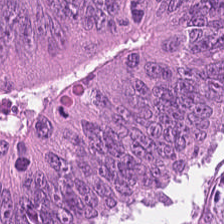Hematoxylin-and-eosin stained section.
Q: What tissue is shown?
A: It is colorectal adenocarcinoma.
